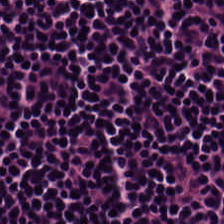Classification = lymphocyte aggregate.
